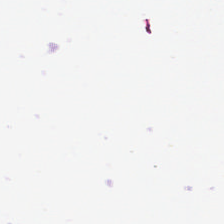Stain: H&E stain.
Field content: background.
